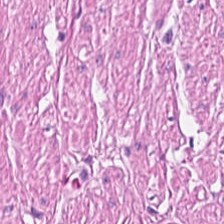This field is muscularis.
